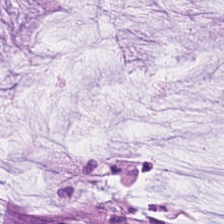Showing extracellular mucin.
